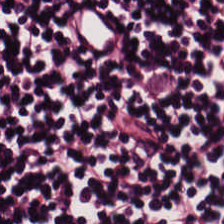H&E-stained tissue section · FFPE. Q: What does this patch show?
A: It is lymphoid infiltrate.
